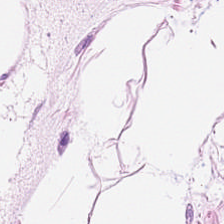H&E-stained tissue section.
This field is adipose.
